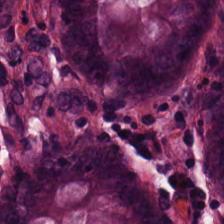H&E-stained tissue section. 224×224 px patch. Q: What does this patch show?
A: This is non-neoplastic colon mucosa.
